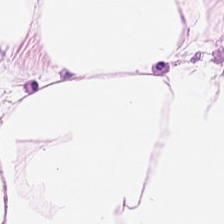Hematoxylin-and-eosin stained section — The tissue here is adipocytes.
